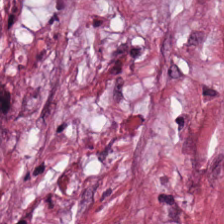Hematoxylin-and-eosin section: tumor stroma.
